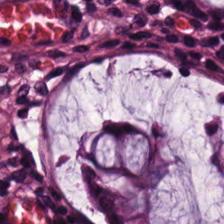Tissue class = normal colon mucosa.
